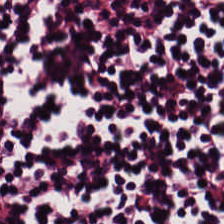Brightfield; formalin-fixed paraffin-embedded section; H&E. This patch shows lymphocytic infiltrate.
